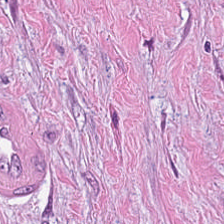Showing tumor-associated stroma.
